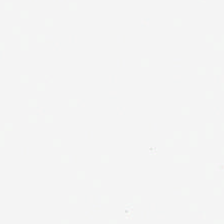Hematoxylin-and-eosin stained section. Whole-slide-image patch. Field content — empty background.
